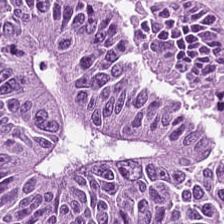H&E-stained tissue section. Formalin-fixed paraffin-embedded section — Predominant tissue — adenocarcinoma.
